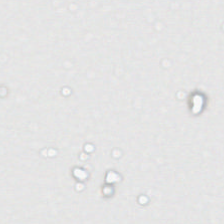H&E-stained tissue section · 0.5 µm per pixel · 224×224 px patch.
Finding → background.
